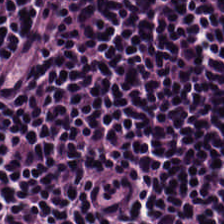224×224 px patch. Hematoxylin and eosin. Predominant tissue — lymphoid infiltrate.
